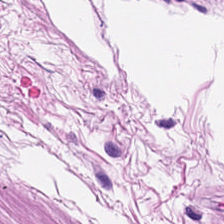Hematoxylin and eosin — Showing smooth-muscle tissue.
